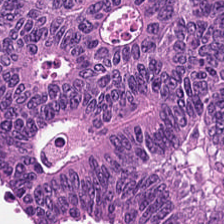Hematoxylin and eosin · 0.5 µm per pixel.
The tissue here is malignant epithelium.
